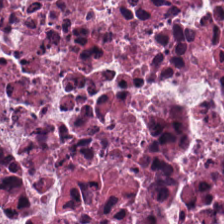The predominant tissue is necrotic debris.
